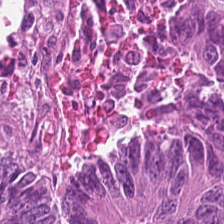Tissue = colorectal adenocarcinoma.
